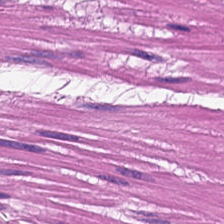Impression → smooth muscle.
